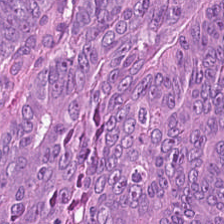H&E. Impression — tumor epithelium.
